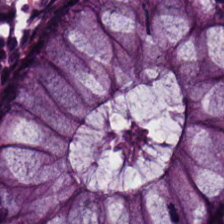H&E-stained tissue section.
The tissue class is normal colon mucosa.
